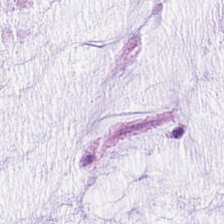H&E stain; brightfield microscopy. Q: What is the predominant tissue type?
A: This is extracellular mucin.
